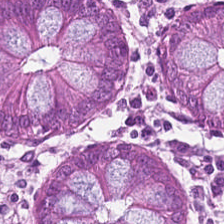Brightfield microscopy · H&E-stained tissue section — Tissue type — benign colonic mucosa.
